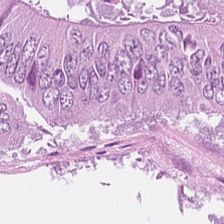Stain: H&E.
Classification: adenocarcinoma.
